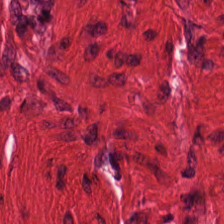Hematoxylin and eosin · brightfield microscopy. Q: What tissue type is shown here?
A: Smooth muscle.
